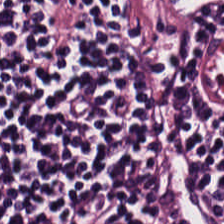Stain: hematoxylin and eosin.
Classification: lymphocytes.
